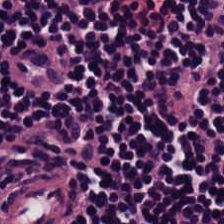Q: Identify the tissue.
A: The field shows lymphocytes.
